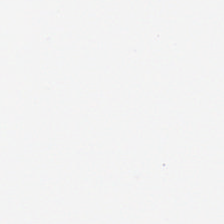Content: no tissue.
